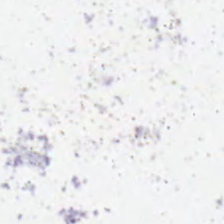0.5 µm/px · hematoxylin and eosin — Background — no tissue in this field.
